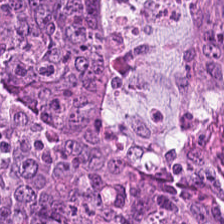H&E; formalin-fixed paraffin-embedded section; whole-slide-image patch. This patch shows adenocarcinoma.
